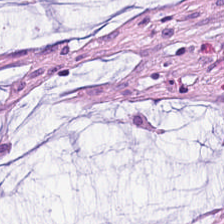The tissue here is extracellular mucin.
